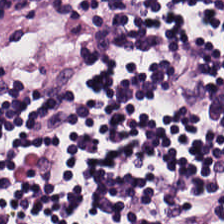This patch shows lymphocytic infiltrate.
